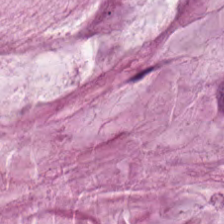Stain: H&E.
Acquisition: brightfield.
Resolution: 0.5 microns per pixel.
Classification: mucin.
